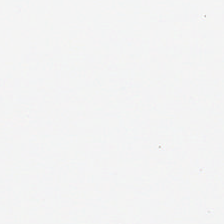Q: What is shown here?
A: The field shows background.
